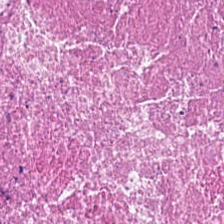Hematoxylin and eosin.
Tissue class: necrotic debris.
